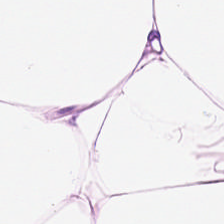224×224 px tile. Hematoxylin and eosin — Histology → adipocytes.
